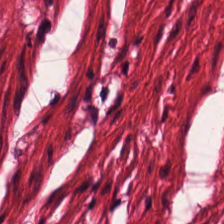The predominant tissue is muscularis.
